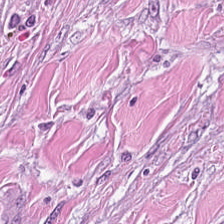The tissue here is tumor stroma.
